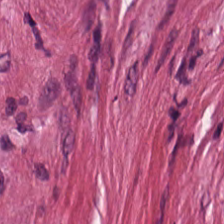Hematoxylin-and-eosin stained section.
Predominant tissue = desmoplastic stroma.
